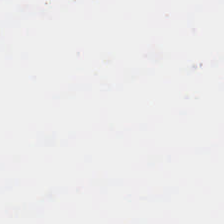H&E stain — No tissue present; background only.
